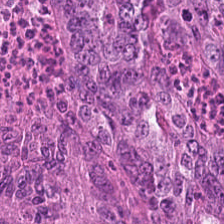H&E stain · 0.5 µm/px. The predominant tissue is colorectal adenocarcinoma.
